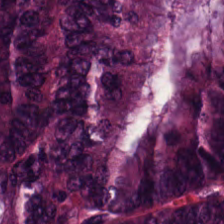Malignant epithelium.
